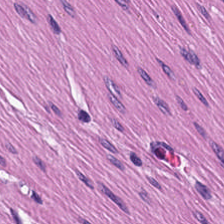Hematoxylin and eosin.
Predominant tissue = smooth muscle.
